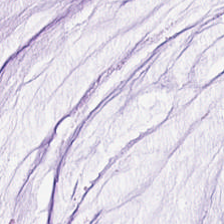Hematoxylin and eosin — Finding → mucus.
